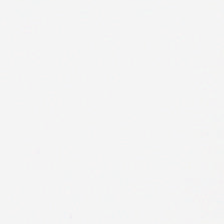Hematoxylin and eosin.
Content: background (no tissue).
